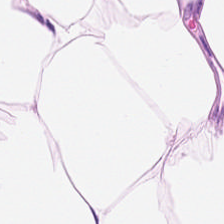0.5 µm per pixel · whole-slide-image patch · hematoxylin-and-eosin stained section — The tissue is adipose.
